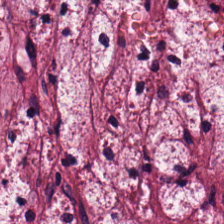H&E.
The tissue here is cancer-associated stroma.
